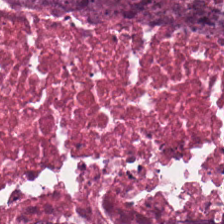H&E patch showing cellular debris.
